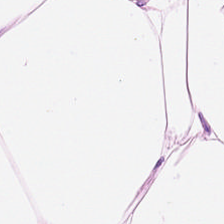0.5 µm per pixel; 224×224 px patch; hematoxylin and eosin. Showing fat tissue.
